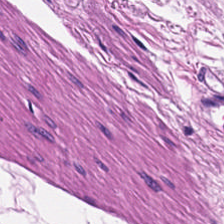224×224 pixel tile. H&E stain. The classification is smooth muscle.
